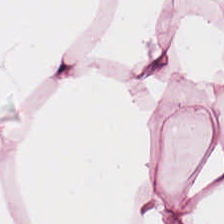Hematoxylin and eosin. Brightfield.
Q: What does this patch show?
A: Adipose.
